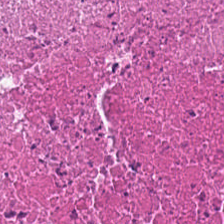Hematoxylin-and-eosin stained section. The predominant tissue is cellular debris.
